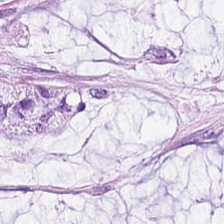224×224 pixel tile; 20× equivalent magnification; H&E-stained tissue section — Tissue class = extracellular mucin.
